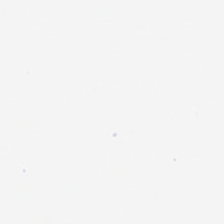Hematoxylin and eosin. Q: Classify this patch.
A: No tissue.
